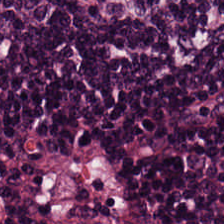224×224 pixel tile · hematoxylin-and-eosin stained section.
Tissue class — lymphoid infiltrate.
